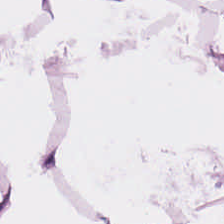Tissue — adipose.
